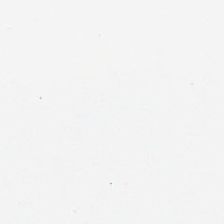Classification — background (no tissue).
